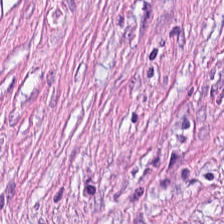Hematoxylin-and-eosin stained section — Predominant tissue: cancer-associated stroma.
